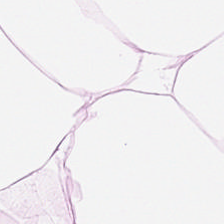This patch shows fat tissue.
